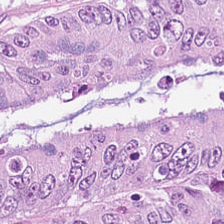H&E-stained tissue section.
The predominant tissue is malignant epithelium.
